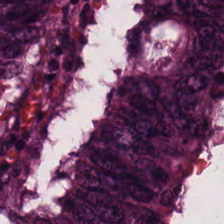The tissue here is tumor epithelium.
